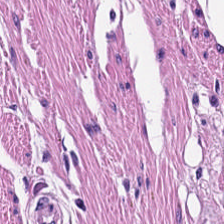Hematoxylin and eosin; formalin-fixed paraffin-embedded section; 20× equivalent magnification. The predominant tissue is muscularis.
